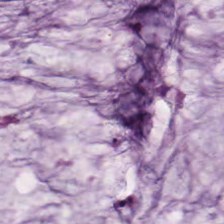224×224 px patch. H&E.
The tissue type is extracellular mucin.
